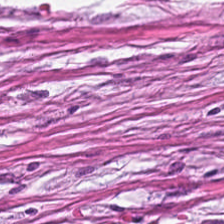Q: What is shown in this field?
A: Desmoplastic stroma.
